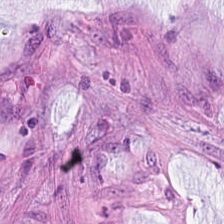The tissue type is extracellular mucin.
